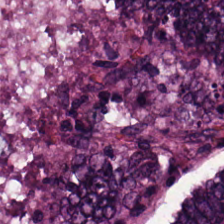Predominantly colorectal adenocarcinoma epithelium.
